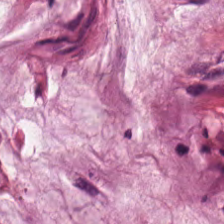H&E. The tissue here is mucin.
